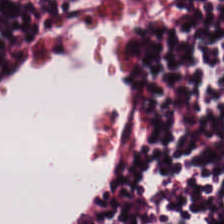FFPE tissue section. H&E-stained tissue section. 0.5 µm per pixel.
{"tissue_type": "lymphocytic infiltrate"}
